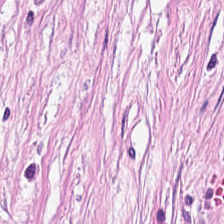H&E stain.
Tissue class: tumor-associated stroma.
